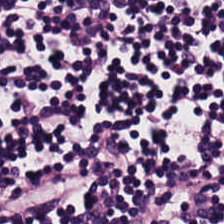Hematoxylin and eosin. Finding → lymphocyte aggregate.
